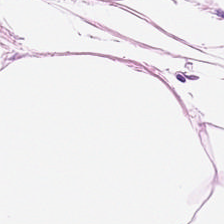Showing adipose.
